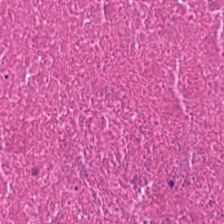Predominant tissue = cellular debris.
